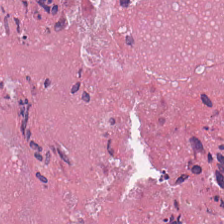Hematoxylin and eosin — Necrotic debris.
